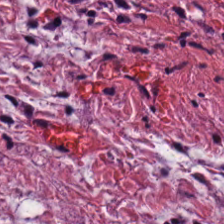H&E — tumor stroma.
